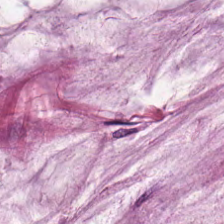Hematoxylin and eosin. The tissue here is mucus.
